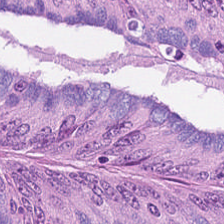Hematoxylin and eosin — Q: What tissue is shown?
A: It is colorectal adenocarcinoma.
